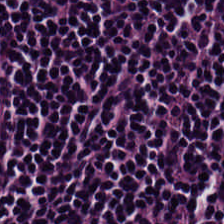H&E-stained tissue section. Tissue — lymphocyte aggregate.
